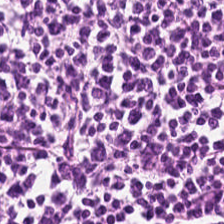H&E-stained tissue section.
Showing lymphocyte aggregate.
